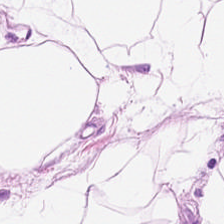Q: What is shown in this field?
A: It is adipose.
